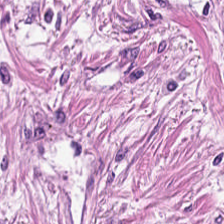Tissue type = tumor stroma.
